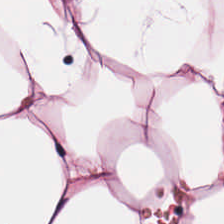Hematoxylin-and-eosin stained section.
This patch shows fat tissue.
